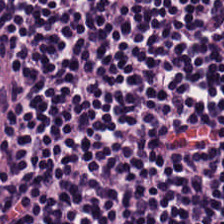Histology → lymphocytes.
